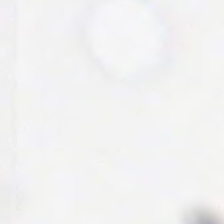Brightfield · 0.5 microns per pixel · hematoxylin and eosin.
Finding → no tissue.
